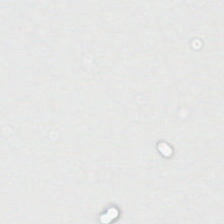Hematoxylin and eosin.
This field is background (no tissue).
